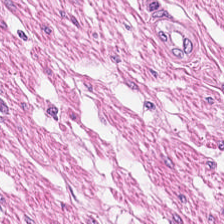Formalin-fixed paraffin-embedded section; hematoxylin-and-eosin stained section; brightfield microscopy. Q: What is the predominant tissue type?
A: The field shows smooth-muscle tissue.
